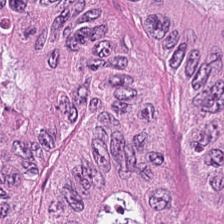Stain: H&E.
Tissue: colorectal adenocarcinoma epithelium.
